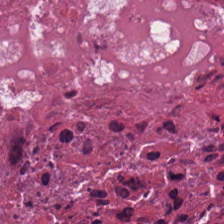Tissue type = necrotic debris.
